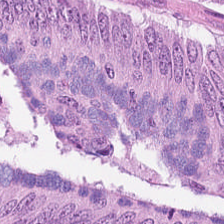WSI patch; H&E.
The tissue here is adenocarcinoma.
